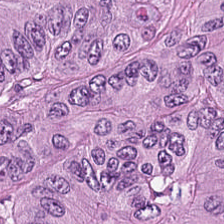H&E-stained tissue section. Histology → tumor epithelium.
